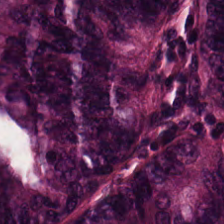Predominant tissue = colorectal adenocarcinoma epithelium.
